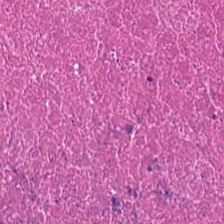H&E stain. Whole-slide-image patch — Tissue — necrotic debris.
